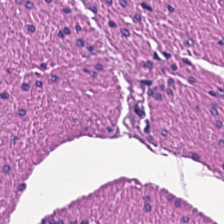H&E-stained tissue section — Tissue type: muscularis.
